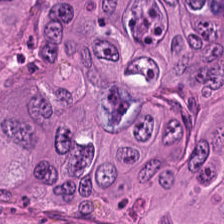H&E-stained tissue section · 20× equivalent magnification.
This field is tumor epithelium.
